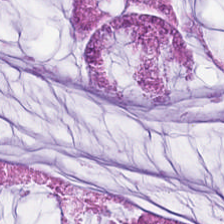Stain: hematoxylin-and-eosin stained section.
Tissue type: extracellular mucin.
